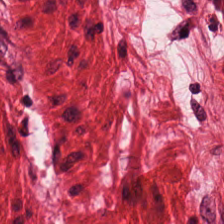H&E stain · 0.5 µm/px — {"tissue_type": "smooth-muscle tissue"}
